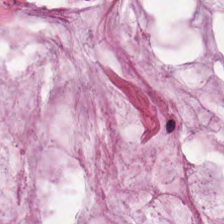224×224 pixel tile. Hematoxylin and eosin. 20× equivalent magnification. This patch shows mucus.
